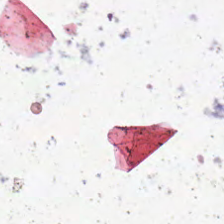This patch shows no tissue.
